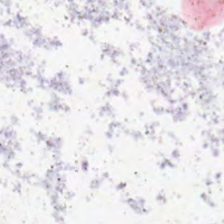Empty field — empty background.
